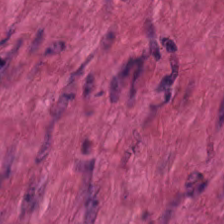H&E — smooth-muscle tissue.
